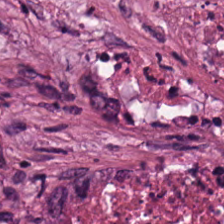Hematoxylin and eosin. FFPE. {"tissue_type": "cellular debris"}
